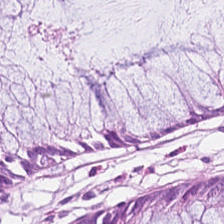Tissue type: non-neoplastic colon mucosa.
